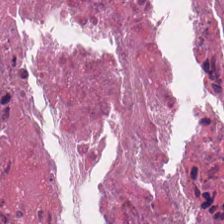Hematoxylin and eosin.
The tissue here is debris.
